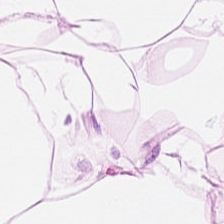{"tissue_type": "adipose tissue"}
